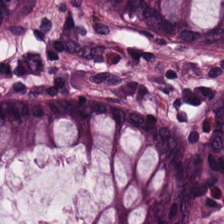Hematoxylin-and-eosin stained section.
Classification: non-neoplastic colon mucosa.
